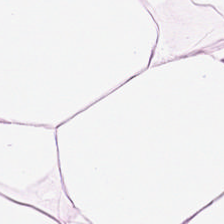0.5 µm per pixel; hematoxylin-and-eosin stained section.
Q: What tissue is shown?
A: It is adipose.
